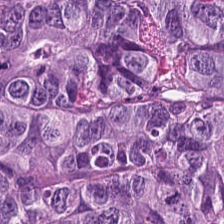H&E stain.
Classification: colorectal adenocarcinoma.
